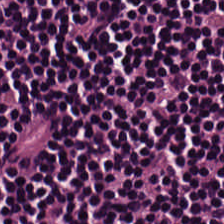0.5 microns per pixel. Hematoxylin and eosin. This field is lymphocytes.
